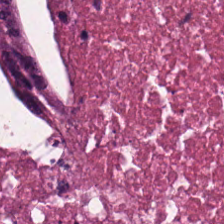H&E; FFPE tissue section; 0.5 µm per pixel — Showing cellular debris.
